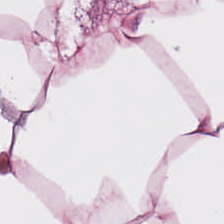H&E-stained tissue section.
Showing adipocytes.
